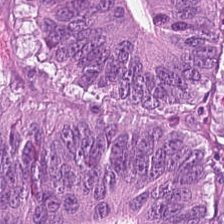Tissue type — colorectal adenocarcinoma.
